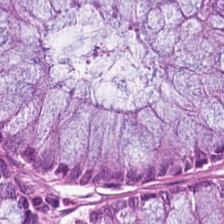Non-neoplastic colon mucosa.
